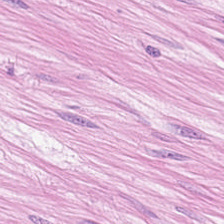224×224 px tile. H&E stain.
{"tissue_type": "smooth-muscle tissue"}
